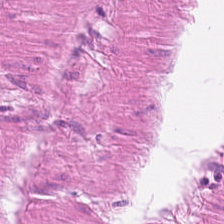224×224 px tile · hematoxylin and eosin · FFPE tissue section.
The predominant tissue is muscularis.
